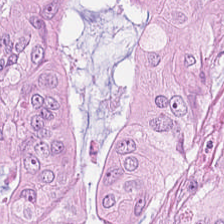Stain: hematoxylin-and-eosin stained section.
Tissue class: tumor epithelium.
